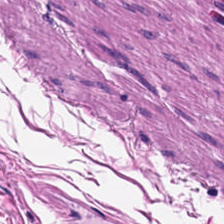H&E stain · 224×224 px tile · brightfield microscopy. Classification — smooth-muscle tissue.
